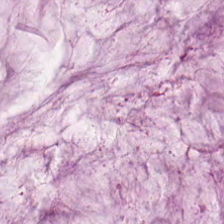Hematoxylin-and-eosin stained section. Classification: mucus.
